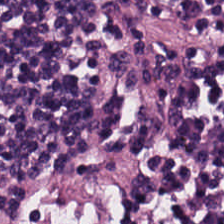224×224 px patch · hematoxylin and eosin.
Showing lymphocytic infiltrate.
